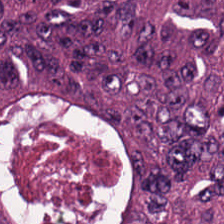H&E stain — Malignant epithelium.
